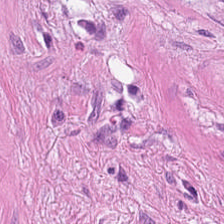H&E-stained tissue section.
Finding → smooth muscle.
